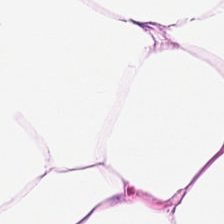WSI patch · hematoxylin and eosin · 0.5 µm per pixel — This field is adipocytes.
